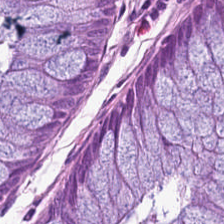H&E stain.
This field is normal colonic mucosa.
